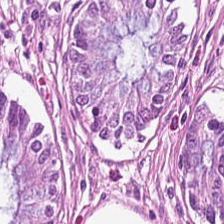Tissue class: non-neoplastic colon mucosa.
